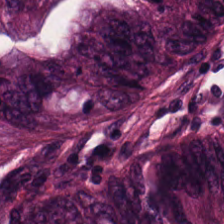FFPE tissue section · 224×224 px tile · hematoxylin-and-eosin stained section. {"tissue_type": "colorectal adenocarcinoma"}
